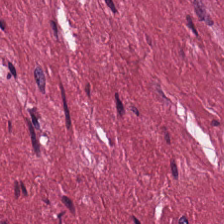H&E. Whole-slide-image patch. 224×224 pixel tile. {"tissue_type": "cancer-associated stroma"}
